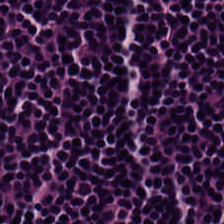H&E; brightfield microscopy; 20× equivalent magnification. Q: What tissue is shown?
A: The field shows lymphoid infiltrate.
